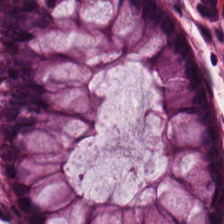Tissue — normal colon mucosa.
